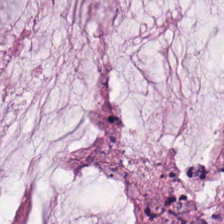FFPE tissue section. H&E-stained tissue section. Q: Classify this patch.
A: Mucus.
